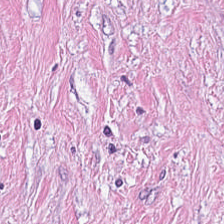H&E.
Q: What is shown here?
A: It is tumor-associated stroma.
